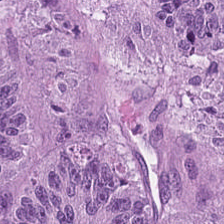Predominantly adenocarcinoma.
